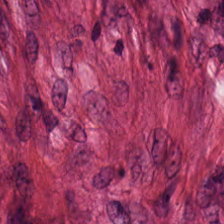Stain: H&E stain.
Tissue: tumor stroma.
